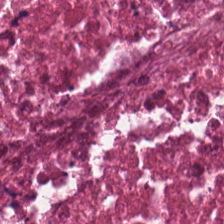FFPE tissue section · hematoxylin and eosin. This field is cellular debris.
